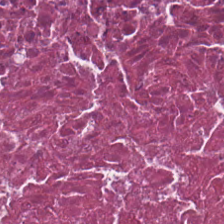H&E-stained tissue section.
This patch shows necrotic debris.
